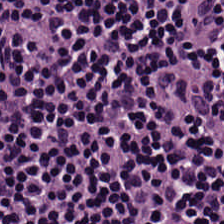H&E-stained tissue section. Predominantly lymphoid infiltrate.
